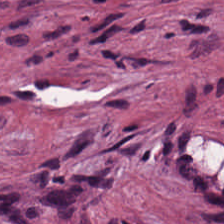H&E — Q: What is shown here?
A: It is cancer-associated stroma.
